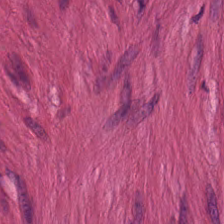Whole-slide-image patch. Hematoxylin-and-eosin stained section.
This field is smooth muscle.
